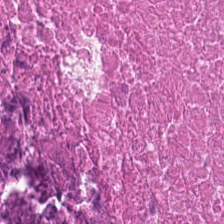H&E-stained tissue section.
Histology — necrotic debris.
